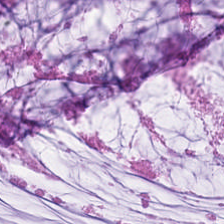H&E. FFPE tissue section — Mucin.
